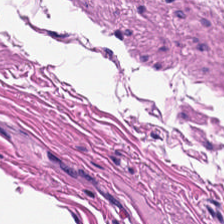FFPE tissue section. Hematoxylin-and-eosin stained section — Q: What type of tissue is this?
A: This is muscularis.
